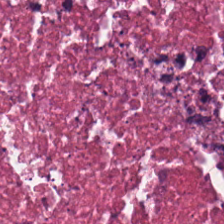H&E stain. Tissue: cellular debris.
